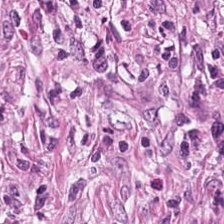Stain: H&E.
Tissue type: desmoplastic stroma.
